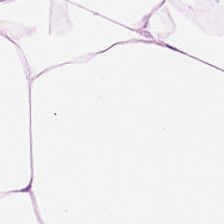H&E. Predominantly adipose tissue.
